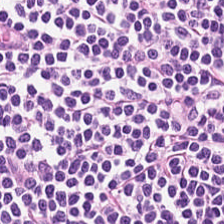Brightfield microscopy · H&E stain. Q: What is shown in this field?
A: This is lymphocytic infiltrate.
